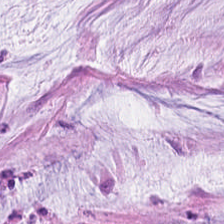Tissue class = extracellular mucin.
